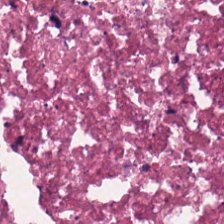Stain: H&E stain.
Classification: necrotic debris.
